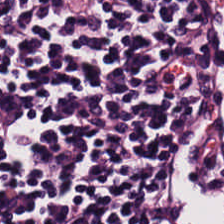Hematoxylin and eosin.
Q: What tissue is shown?
A: The field shows lymphocyte aggregate.
